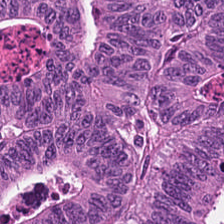224×224 px tile · H&E — Histology — adenocarcinoma.
